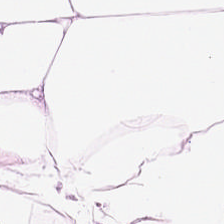Hematoxylin and eosin; brightfield microscopy; 0.5 µm per pixel.
Adipose tissue.
